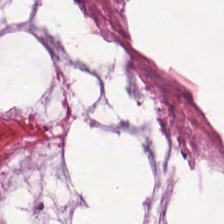Formalin-fixed paraffin-embedded section. H&E stain. Whole-slide-image patch. This field is mucin.
